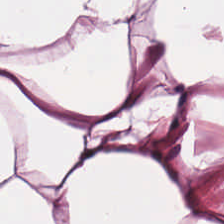H&E; 224×224 px tile.
This patch shows adipose.
